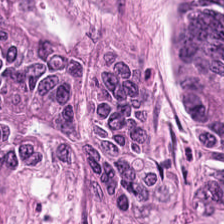Stain: hematoxylin-and-eosin stained section.
Tissue class: adenocarcinoma.
